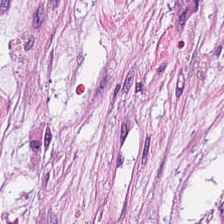H&E. Finding → cancer-associated stroma.
